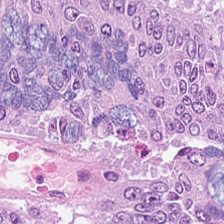Hematoxylin-and-eosin stained section. 224×224 px tile — Impression → tumor epithelium.
